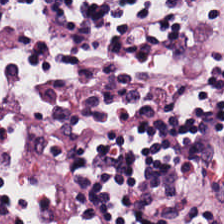Predominant tissue — lymphocytic infiltrate.
